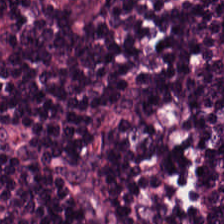Hematoxylin and eosin — Predominantly lymphocytes.
